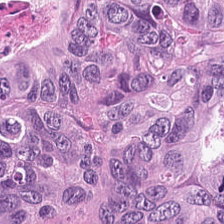20× equivalent magnification. Hematoxylin and eosin. Q: What does this patch show?
A: Tumor epithelium.
